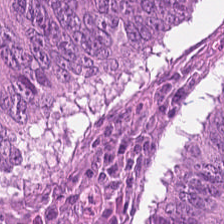224×224 px patch; hematoxylin-and-eosin stained section — Predominant tissue = malignant epithelium.
